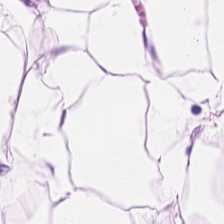H&E-stained tissue section. Brightfield. 224×224 px tile.
This field is fat tissue.
